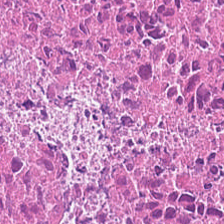Histology → necrotic debris.
